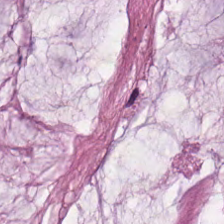The tissue here is extracellular mucin.
